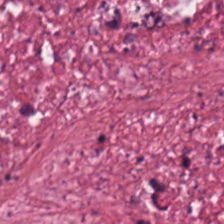Hematoxylin and eosin. FFPE. Cancer-associated stroma.
